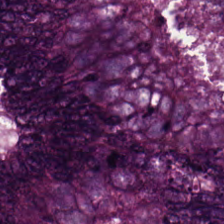Brightfield microscopy · hematoxylin and eosin.
Histology — adenocarcinoma.
